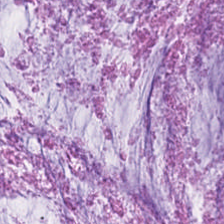Q: What type of tissue is this?
A: This is mucin.
